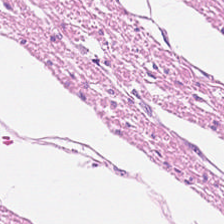This field is smooth-muscle tissue.
